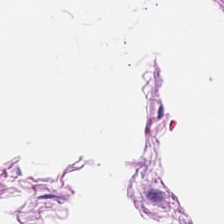H&E-stained tissue section — Finding — muscularis.
